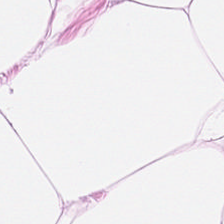H&E-stained tissue section.
This patch shows fat tissue.
